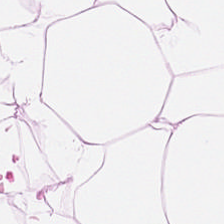H&E. Adipose tissue.
